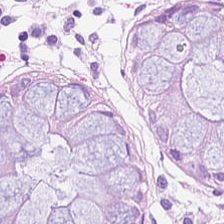Stain: H&E.
Tissue: benign colonic mucosa.
